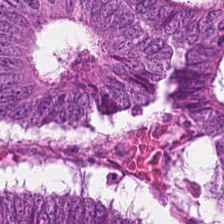H&E.
This field is colorectal adenocarcinoma epithelium.
